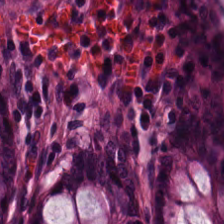Hematoxylin and eosin. Impression → non-neoplastic colon mucosa.
